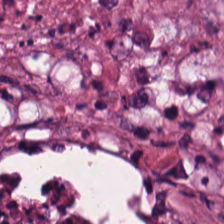Impression — necrotic debris.
